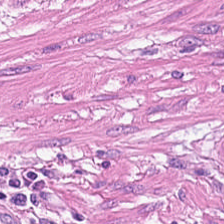Q: Identify the tissue.
A: Muscularis.
